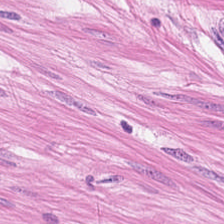WSI patch. H&E-stained tissue section.
Predominant tissue = smooth-muscle tissue.
